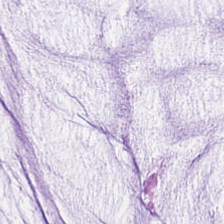H&E. FFPE tissue section.
Mucus.
